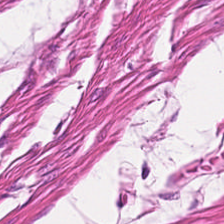H&E — smooth muscle.
